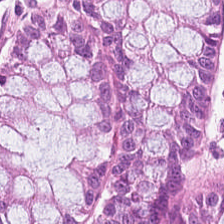H&E · brightfield microscopy.
Q: Identify the tissue.
A: This is normal colonic mucosa.
